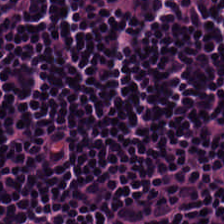0.5 microns per pixel; hematoxylin and eosin. The predominant tissue is lymphoid infiltrate.
